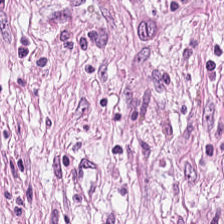H&E — desmoplastic stroma.
